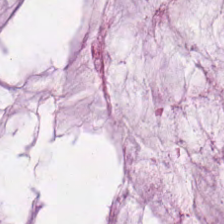H&E-stained tissue section · formalin-fixed paraffin-embedded section — Finding → mucus.
